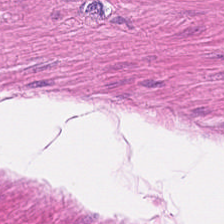H&E patch showing smooth-muscle tissue.
